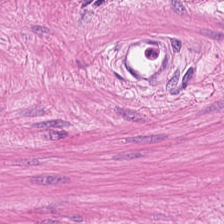Impression → smooth muscle.
